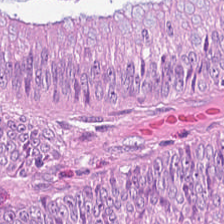FFPE tissue section. Hematoxylin and eosin.
The predominant tissue is malignant epithelium.
